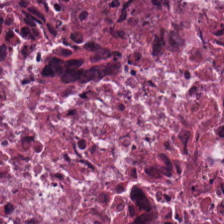Hematoxylin and eosin.
Q: What type of tissue is this?
A: This is debris.
